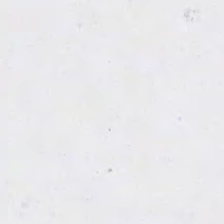Stain: H&E.
Acquisition: brightfield microscopy.
Field content: background.
